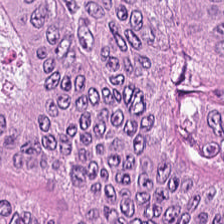The predominant tissue is adenocarcinoma.
